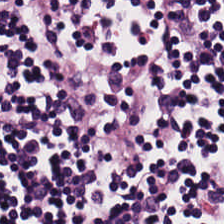Hematoxylin and eosin — This field is lymphocyte aggregate.
